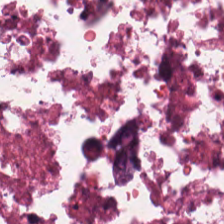Stain: hematoxylin-and-eosin stained section.
Tissue: debris.
